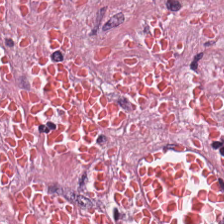Tissue = desmoplastic stroma.
